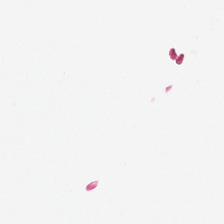Q: What is shown in this field?
A: It is background.
